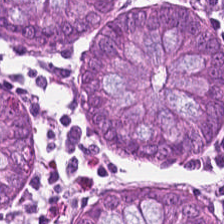H&E-stained tissue section showing normal colon mucosa.
